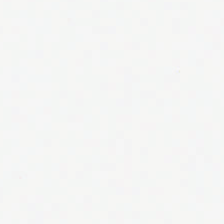Brightfield; hematoxylin-and-eosin stained section. This field is background (no tissue).
